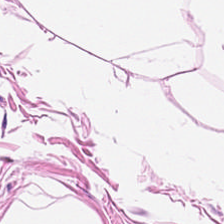224×224 px tile. H&E-stained tissue section. Finding → adipocytes.
